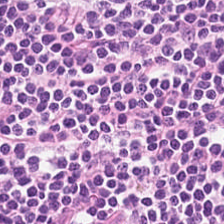H&E-stained tissue section · 224×224 pixel tile · WSI patch — Finding → lymphocytes.
